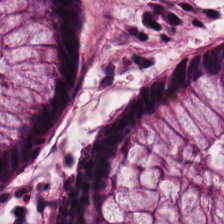Stain: hematoxylin-and-eosin stained section.
Tissue type: benign colonic mucosa.
